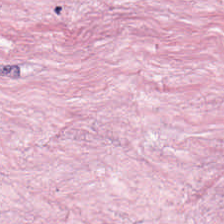20× equivalent magnification. Hematoxylin-and-eosin stained section.
The tissue is desmoplastic stroma.
